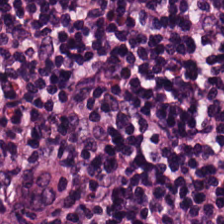H&E-stained tissue section.
Finding → lymphocyte aggregate.
